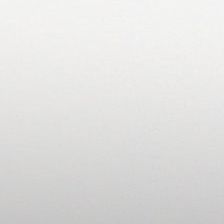Hematoxylin-and-eosin stained section. Q: What is shown in this field?
A: This is background (no tissue).
